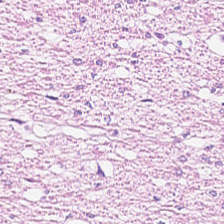Predominant tissue — smooth muscle.
